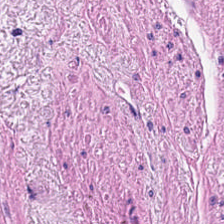H&E · 0.5 µm per pixel — Tissue class = smooth-muscle tissue.
